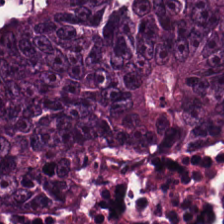Showing colorectal adenocarcinoma epithelium.
